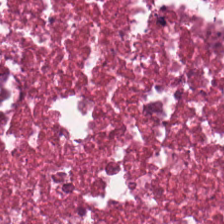H&E. Q: What type of tissue is this?
A: It is cellular debris.
